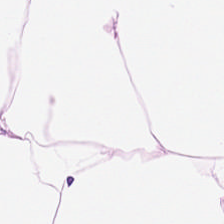The predominant tissue is fat tissue.
